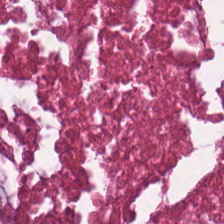Stain: H&E.
Tile size: 224×224 px patch.
Resolution: 0.5 µm/px.
Classification: necrotic debris.
